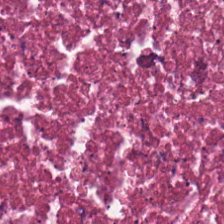Classification: cellular debris.
